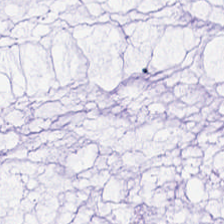0.5 µm per pixel · H&E stain.
Tissue type = extracellular mucin.
